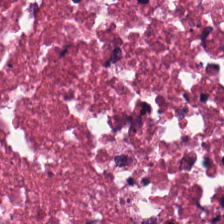Q: What is shown in this field?
A: Cellular debris.
